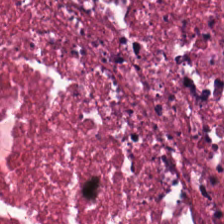Q: Classify this patch.
A: Necrotic debris.
